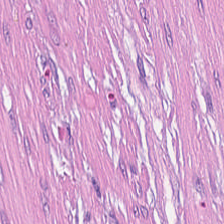H&E-stained tissue section. The predominant tissue is desmoplastic stroma.
